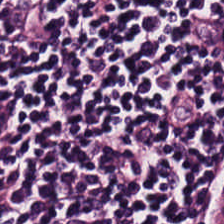224×224 px tile · hematoxylin and eosin. Showing lymphocytes.
